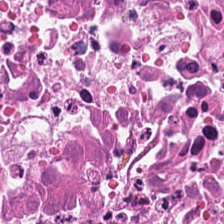224×224 pixel tile. Brightfield. Hematoxylin and eosin. The tissue here is necrotic debris.
